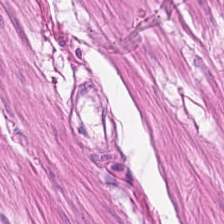H&E-stained tissue section.
This field is smooth-muscle tissue.
